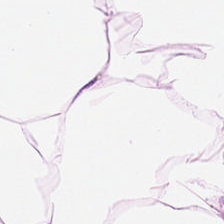Hematoxylin-and-eosin stained section — Q: What is the predominant tissue type?
A: The field shows adipose tissue.
